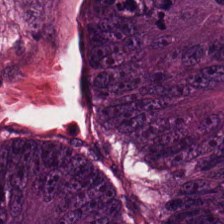Q: What tissue is shown?
A: This is malignant epithelium.
